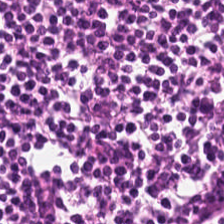Q: What is shown here?
A: It is lymphoid infiltrate.
